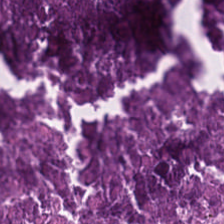Stain: hematoxylin and eosin.
Preparation: FFPE tissue section.
Tissue: debris.
